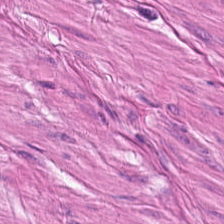Impression → smooth-muscle tissue.
